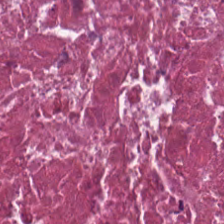H&E-stained tissue section.
Q: What is the predominant tissue type?
A: The field shows necrotic debris.
